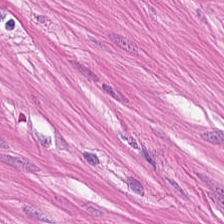H&E.
Classification: smooth-muscle tissue.
